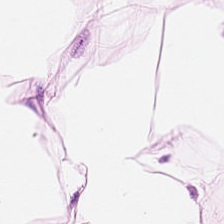Tissue type: adipocytes.
